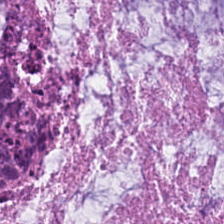0.5 microns per pixel · H&E stain. Q: Classify this patch.
A: The field shows extracellular mucin.
